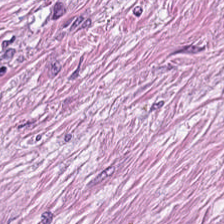H&E — This patch shows tumor-associated stroma.
